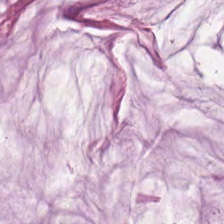Tissue class: mucus.
